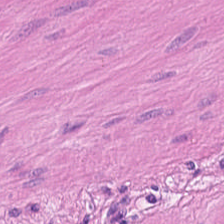H&E stain.
The tissue here is muscularis.
